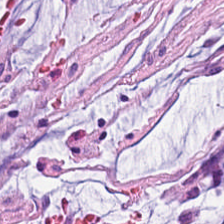Hematoxylin and eosin. {"tissue_type": "mucus"}
